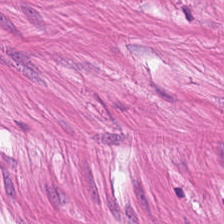The tissue here is muscularis.
